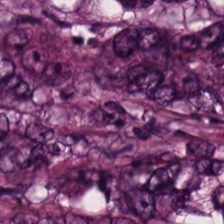Stain: H&E-stained tissue section.
Classification: colorectal adenocarcinoma epithelium.
